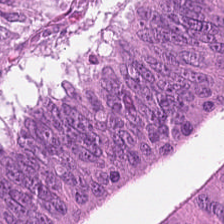Tissue class — malignant epithelium.
